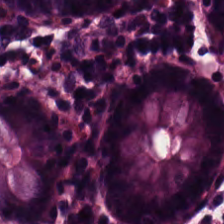20× equivalent magnification · H&E · brightfield microscopy. Q: What is shown in this field?
A: The field shows non-neoplastic colon mucosa.
